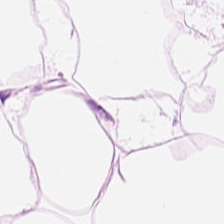Hematoxylin-and-eosin stained section · formalin-fixed paraffin-embedded section.
Fat tissue.
